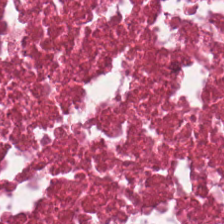224×224 pixel tile; hematoxylin-and-eosin stained section. This patch shows necrotic debris.
